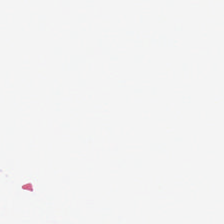H&E · whole-slide-image patch · 20× equivalent magnification. Q: What does this patch show?
A: The field shows empty background.
